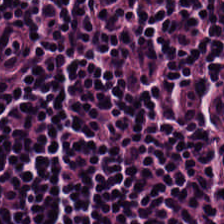H&E-stained tissue section; 0.5 µm per pixel. Tissue class — lymphocytic infiltrate.
